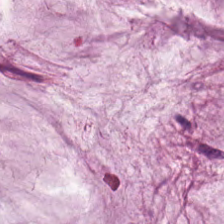224×224 px patch; H&E-stained tissue section; brightfield. The predominant tissue is mucus.
